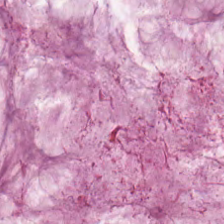Stain: hematoxylin-and-eosin stained section.
Preparation: FFPE.
Tissue class: mucus.
